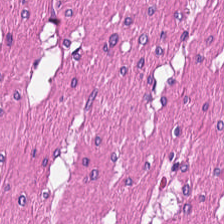Stain: H&E.
Tissue class: smooth-muscle tissue.
